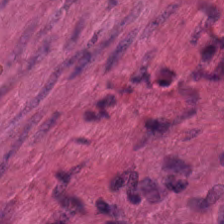Hematoxylin-and-eosin stained section · formalin-fixed paraffin-embedded section · brightfield microscopy — Predominantly smooth-muscle tissue.
